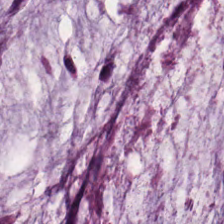Q: What is the predominant tissue type?
A: Extracellular mucin.
